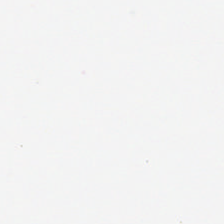FFPE tissue section; H&E stain. Content = no tissue.
